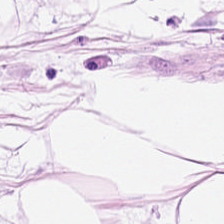Hematoxylin and eosin · 0.5 microns per pixel. Histology → adipocytes.
